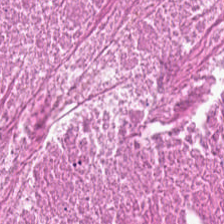Brightfield; 224×224 px patch; hematoxylin-and-eosin stained section.
This field is debris.
